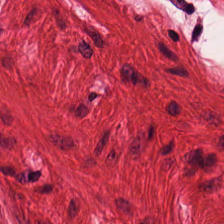H&E stain.
Muscularis.
